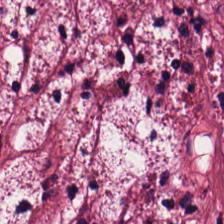Hematoxylin and eosin — Predominant tissue: tumor stroma.
